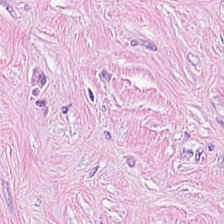224×224 px tile; H&E stain. Predominant tissue = tumor stroma.
